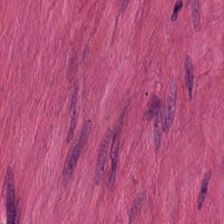Q: What tissue is shown?
A: Smooth-muscle tissue.
